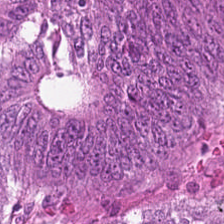Hematoxylin and eosin. FFPE tissue section.
Q: What is shown here?
A: The field shows adenocarcinoma.
